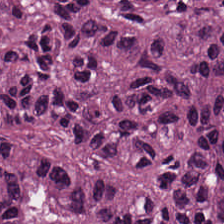Hematoxylin-and-eosin section: tumor epithelium.
